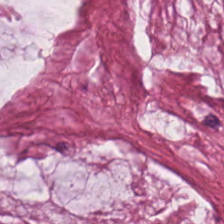Formalin-fixed paraffin-embedded section. Hematoxylin and eosin.
{"tissue_type": "extracellular mucin"}
